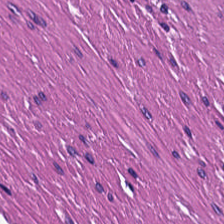0.5 µm per pixel. Hematoxylin-and-eosin stained section.
Smooth muscle.
